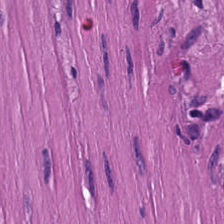H&E-stained tissue section · brightfield microscopy · formalin-fixed paraffin-embedded section.
This patch shows smooth muscle.
